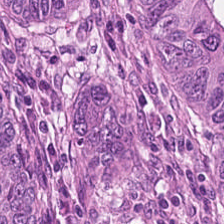H&E — malignant epithelium.
